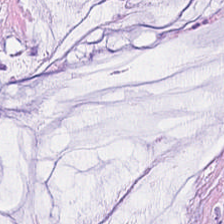WSI patch; hematoxylin-and-eosin stained section.
{"tissue_type": "mucin"}
